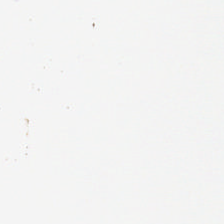224×224 px patch. H&E stain.
Empty field — background.
